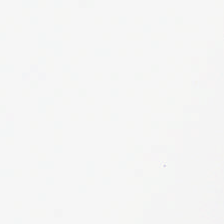H&E stain. Formalin-fixed paraffin-embedded section — Content = empty background.
